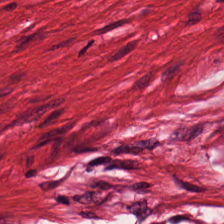Hematoxylin-and-eosin stained section · 224×224 pixel tile.
Tissue type = smooth muscle.
